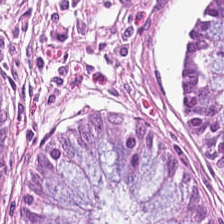224×224 px tile. H&E. Finding → normal colon mucosa.
